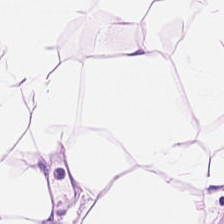H&E. Showing fat tissue.
